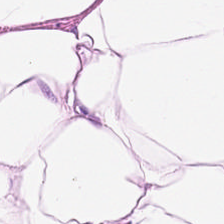H&E-stained tissue section · brightfield · FFPE.
Predominantly fat tissue.
